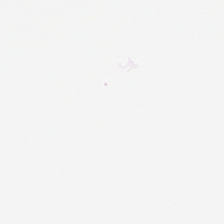H&E-stained tissue section.
Empty field — background (no tissue).
